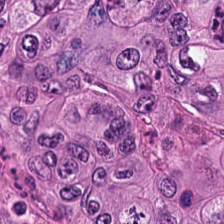0.5 microns per pixel · hematoxylin-and-eosin stained section. {"tissue_type": "malignant epithelium"}
